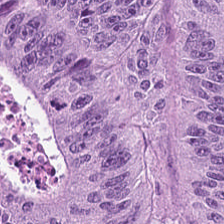Stain: H&E.
Tissue class: tumor epithelium.
